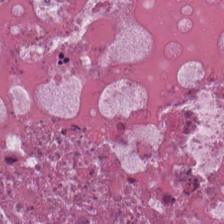Brightfield microscopy; hematoxylin-and-eosin stained section. Classification: cellular debris.
